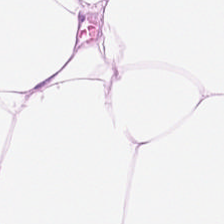Formalin-fixed paraffin-embedded section · H&E stain · 0.5 µm/px — The tissue class is adipocytes.
